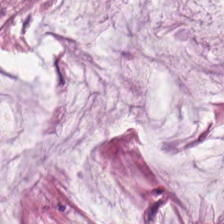Stain: hematoxylin-and-eosin stained section.
Tissue class: mucin.
